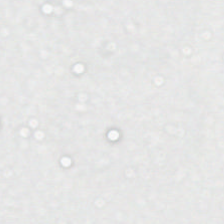Hematoxylin and eosin.
Classification — no tissue.
